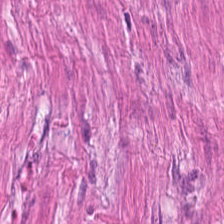Q: What is the predominant tissue type?
A: Smooth muscle.
